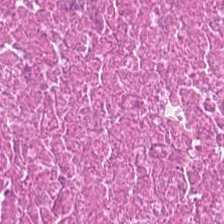H&E; FFPE; 0.5 µm/px.
The predominant tissue is cellular debris.
